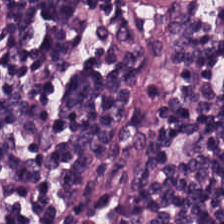Hematoxylin and eosin. The predominant tissue is lymphocyte aggregate.
